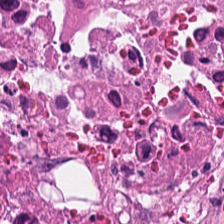Brightfield. Hematoxylin-and-eosin stained section. 224×224 pixel tile.
Showing debris.
